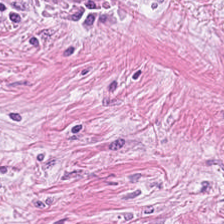Formalin-fixed paraffin-embedded section; 0.5 µm per pixel; H&E stain. Cancer-associated stroma.
